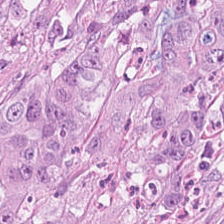H&E. 0.5 µm/px. Whole-slide-image patch — Adenocarcinoma.
